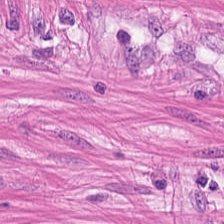Hematoxylin-and-eosin stained section. Brightfield microscopy.
Q: What type of tissue is this?
A: Smooth muscle.
